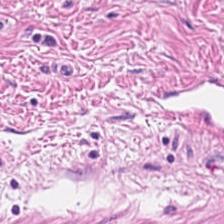H&E-stained tissue section — Impression — muscularis.
